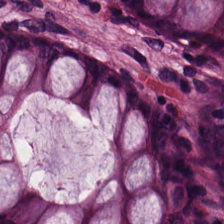Classification — benign colonic mucosa.
